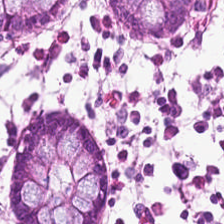H&E.
Predominantly normal colonic mucosa.
